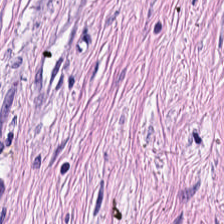H&E-stained tissue section; whole-slide-image patch. The tissue here is desmoplastic stroma.
